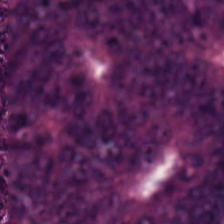Hematoxylin-and-eosin stained section — Histology → malignant epithelium.
